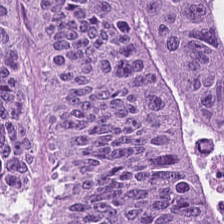0.5 microns per pixel. H&E stain — Tissue type: colorectal adenocarcinoma epithelium.
